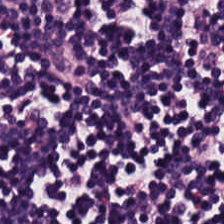H&E-stained tissue section. Brightfield — Predominantly lymphoid infiltrate.
